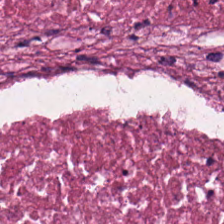20× equivalent magnification · hematoxylin-and-eosin stained section · 224×224 pixel tile. The tissue here is necrotic debris.
